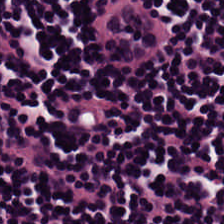H&E-stained tissue section; 0.5 µm/px — Tissue class: lymphocytic infiltrate.
